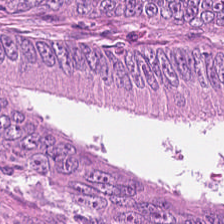Tissue = colorectal adenocarcinoma epithelium.
